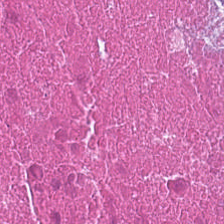H&E.
The tissue class is debris.
